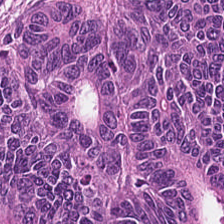Brightfield microscopy; H&E stain — Q: Classify this patch.
A: The field shows tumor epithelium.
